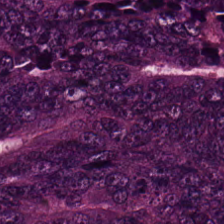Stain: H&E stain.
Tissue: tumor epithelium.
